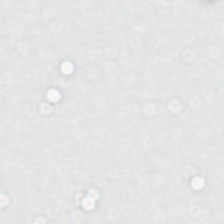H&E-stained tissue section — The field content is no tissue.
